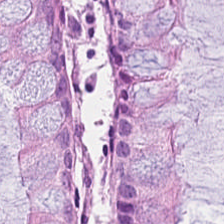Stain: hematoxylin and eosin.
Classification: non-neoplastic colon mucosa.
